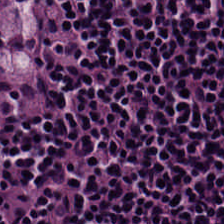H&E stain — Q: What does this patch show?
A: It is lymphocytes.
